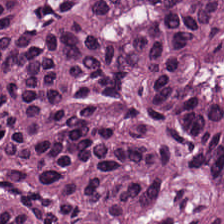224×224 px tile. Hematoxylin and eosin.
Impression → colorectal adenocarcinoma epithelium.
